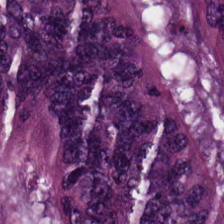Hematoxylin-and-eosin stained section. Q: Classify this patch.
A: The field shows adenocarcinoma.
